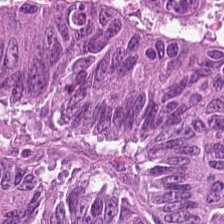Hematoxylin and eosin · FFPE — Adenocarcinoma.
